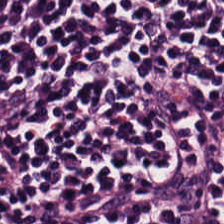Hematoxylin-and-eosin section: lymphocytes.
